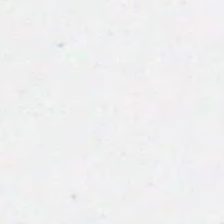Hematoxylin-and-eosin stained section. The classification is background (no tissue).
